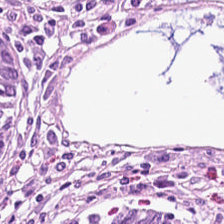H&E. FFPE. Q: What does this patch show?
A: It is normal colon mucosa.
